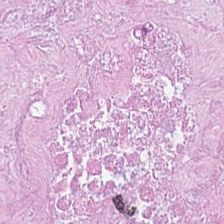Brightfield · H&E-stained tissue section — Predominant tissue = necrotic debris.
